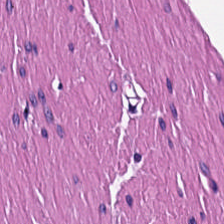Hematoxylin-and-eosin stained section · 224×224 px tile · FFPE — This patch shows smooth-muscle tissue.
